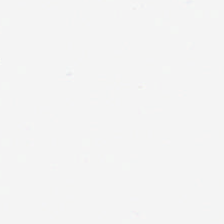H&E-stained tissue section.
{"content": "background"}
